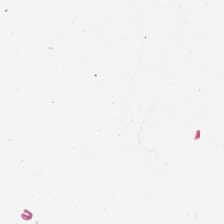0.5 µm per pixel · H&E stain. Background — no tissue in this field.
